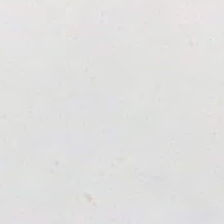Stain: hematoxylin-and-eosin stained section.
Acquisition: brightfield.
Classification: no tissue.
